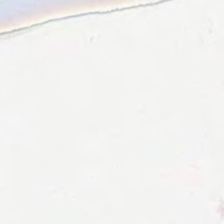Hematoxylin-and-eosin stained section; 224×224 px tile.
Q: Classify this patch.
A: This is background (no tissue).
